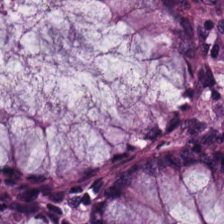Formalin-fixed paraffin-embedded section. H&E-stained tissue section. Q: What is the predominant tissue type?
A: This is non-neoplastic colon mucosa.
